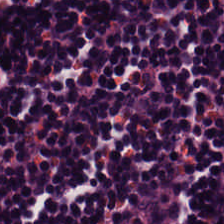Whole-slide-image patch. H&E — Classification: lymphocytic infiltrate.
